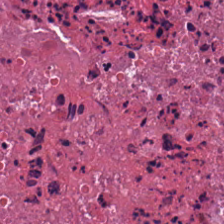Stain: hematoxylin-and-eosin stained section.
Preparation: formalin-fixed paraffin-embedded section.
Tissue type: cellular debris.
